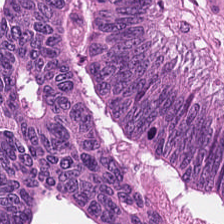Stain: H&E stain.
Tissue class: colorectal adenocarcinoma epithelium.
